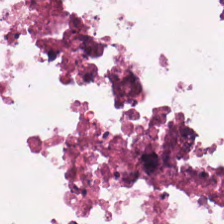20× equivalent magnification. 224×224 px patch. H&E stain. The tissue is debris.
